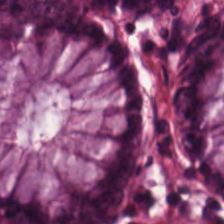Hematoxylin and eosin · formalin-fixed paraffin-embedded section · 224×224 px patch. {"tissue_type": "normal colonic mucosa"}
